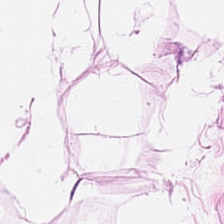Hematoxylin and eosin — The tissue is adipose.
